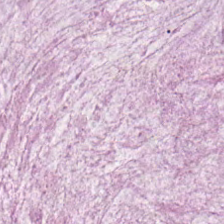Stain: hematoxylin-and-eosin stained section.
Tissue: extracellular mucin.
